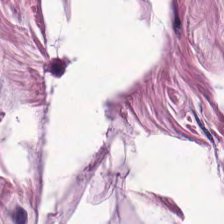Q: What is shown in this field?
A: The field shows smooth-muscle tissue.
